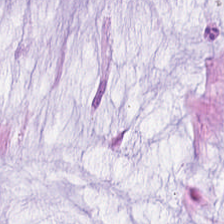Stain: H&E.
Predominant tissue: mucin.
